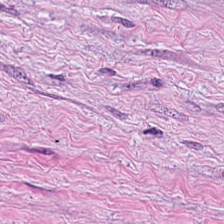Showing desmoplastic stroma.
